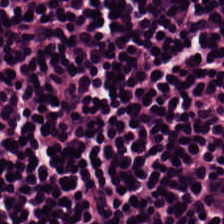H&E patch showing lymphoid infiltrate.
